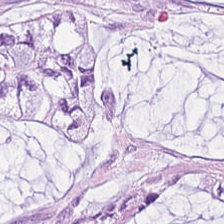20× equivalent magnification · H&E stain — Predominant tissue: mucin.
